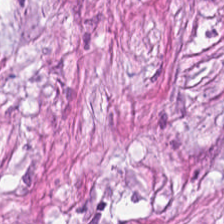H&E. Showing cancer-associated stroma.
